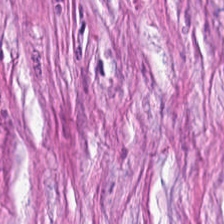Hematoxylin and eosin; 20× equivalent magnification.
{"tissue_type": "cancer-associated stroma"}
